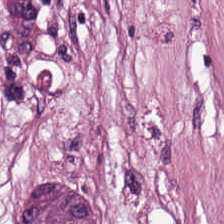Hematoxylin and eosin — Tissue class = tumor-associated stroma.
